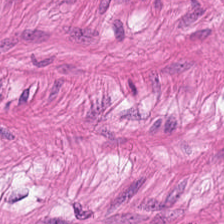Hematoxylin-and-eosin section: smooth-muscle tissue.
